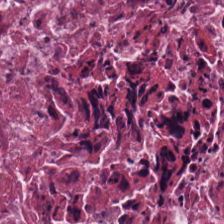The predominant tissue is cellular debris.
